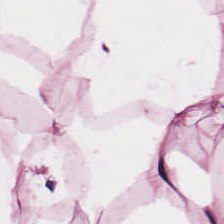H&E stain. Finding → adipocytes.
